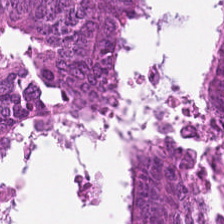Stain: hematoxylin-and-eosin stained section.
Tissue type: adenocarcinoma.
